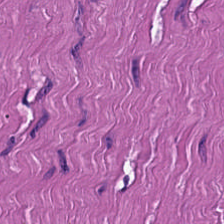H&E — smooth-muscle tissue.
